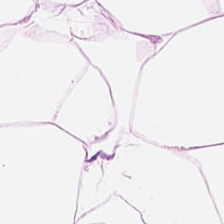0.5 µm per pixel. H&E. FFPE. Predominantly adipose.
